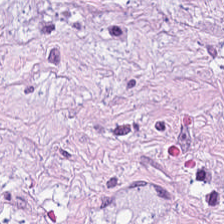Brightfield microscopy. H&E stain. 224×224 pixel tile. This patch shows cancer-associated stroma.
